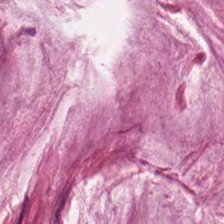0.5 microns per pixel · H&E-stained tissue section.
Extracellular mucin.
